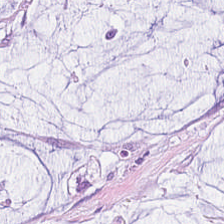Q: What tissue type is shown here?
A: Extracellular mucin.
